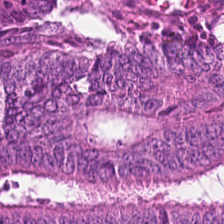H&E-stained tissue section showing adenocarcinoma.
